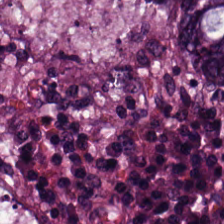Tissue — malignant epithelium.
